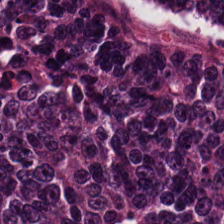Hematoxylin-and-eosin section: tumor epithelium.
